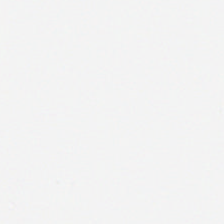Stain: H&E.
Classification: background.
